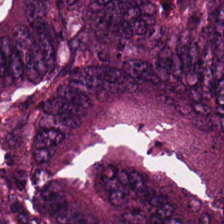Classification: colorectal adenocarcinoma epithelium.
